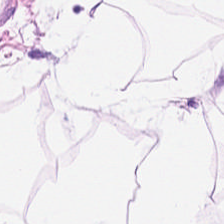Tissue — adipose tissue.
